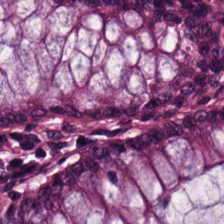Classification — non-neoplastic colon mucosa.
